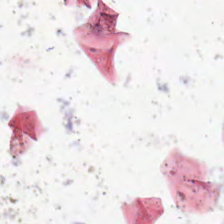H&E-stained tissue section — No tissue present; background only.
